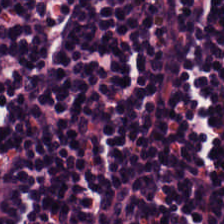H&E stain.
Showing lymphoid infiltrate.
